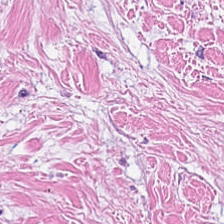The predominant tissue is tumor stroma.
